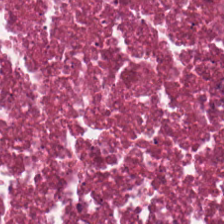Whole-slide-image patch. H&E.
Impression → cellular debris.
